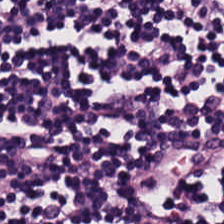Hematoxylin and eosin · FFPE tissue section — Q: What type of tissue is this?
A: It is lymphoid infiltrate.
